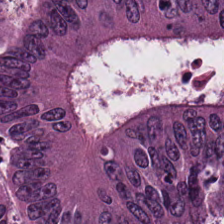Brightfield microscopy; hematoxylin and eosin — {"tissue_type": "malignant epithelium"}
